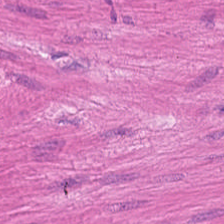Stain: H&E stain.
Acquisition: brightfield.
Resolution: 0.5 µm per pixel.
Predominant tissue: muscularis.
